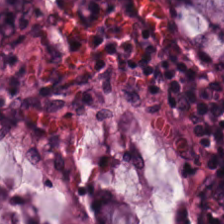The tissue here is normal colonic mucosa.
